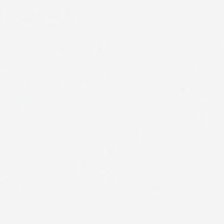H&E stain. Q: What is shown in this field?
A: Empty background.
